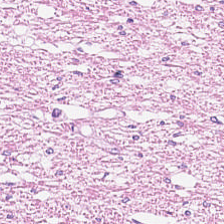0.5 microns per pixel. H&E.
Q: What is shown in this field?
A: This is smooth-muscle tissue.
